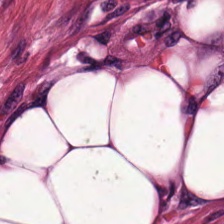Stain: hematoxylin and eosin.
Acquisition: brightfield microscopy.
Resolution: 0.5 microns per pixel.
Tissue class: tumor-associated stroma.
